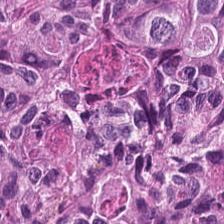Hematoxylin and eosin; 224×224 px tile — Q: What type of tissue is this?
A: It is malignant epithelium.
